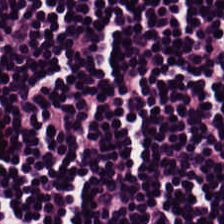Stain: hematoxylin-and-eosin stained section.
Acquisition: brightfield microscopy.
Tissue: lymphoid infiltrate.
